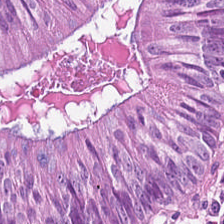H&E — Classification = adenocarcinoma.
